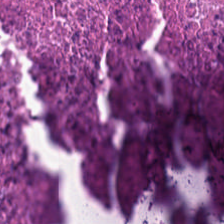H&E — Histology — debris.
